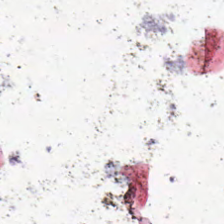H&E. 224×224 px tile. 0.5 microns per pixel. Classification: no tissue.
